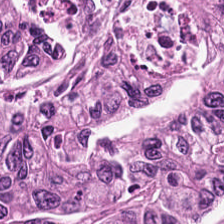H&E-stained tissue section — Impression — adenocarcinoma.
